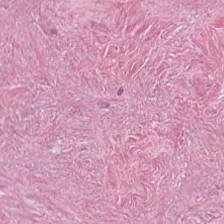Hematoxylin and eosin. Predominantly tumor stroma.
